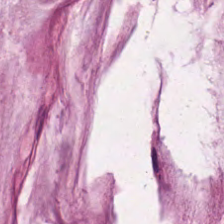Hematoxylin and eosin.
Showing mucus.
